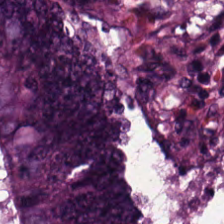Stain: H&E-stained tissue section.
Tissue type: malignant epithelium.
